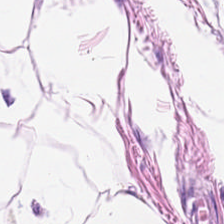H&E; FFPE tissue section; brightfield microscopy. Predominantly fat tissue.
